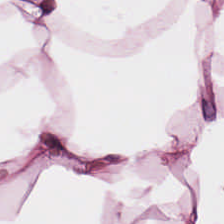H&E stain. Classification — fat tissue.
